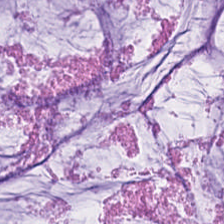H&E.
Histology — mucin.
